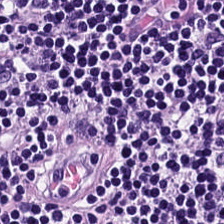20× equivalent magnification; H&E stain — This patch shows lymphoid infiltrate.
